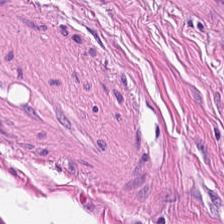Classification = smooth muscle.
